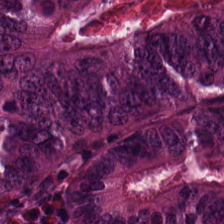Hematoxylin and eosin — Q: What type of tissue is this?
A: Colorectal adenocarcinoma.
